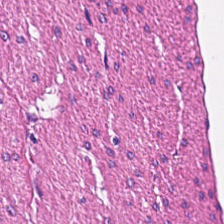H&E-stained tissue section. Finding — smooth muscle.
